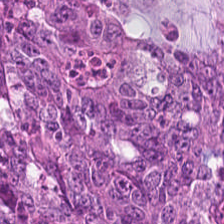The tissue here is colorectal adenocarcinoma.
